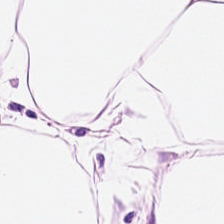FFPE tissue section; H&E stain; brightfield microscopy.
Adipocytes.
